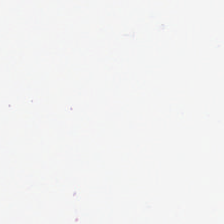Hematoxylin and eosin. Field content: background.
